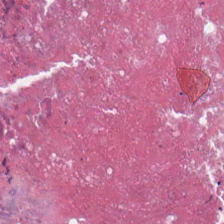H&E stain; FFPE tissue section. This field is debris.
